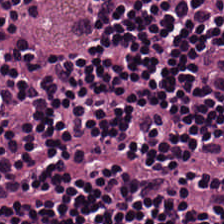Hematoxylin and eosin · FFPE · 224×224 px patch — Q: What is the predominant tissue type?
A: This is lymphocyte aggregate.
